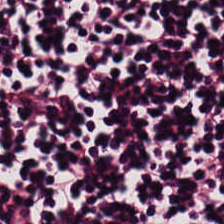H&E patch showing lymphocyte aggregate.
